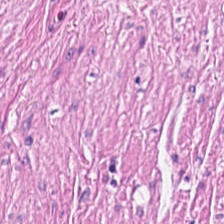224×224 pixel tile; H&E stain; 0.5 µm/px — The tissue here is smooth muscle.
